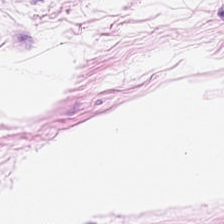Hematoxylin and eosin; brightfield microscopy. Q: What is shown in this field?
A: Adipose tissue.
